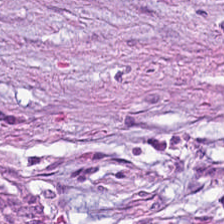Stain: hematoxylin and eosin.
Acquisition: brightfield.
Preparation: FFPE.
Classification: tumor stroma.
